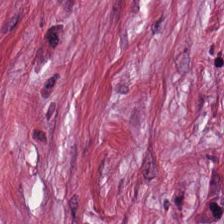H&E-stained tissue section; WSI patch.
The predominant tissue is tumor stroma.
